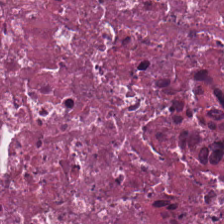{"tissue_type": "debris"}
